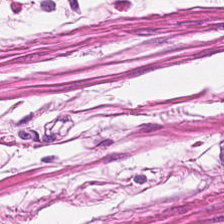Stain: hematoxylin-and-eosin stained section.
Tissue class: smooth muscle.
